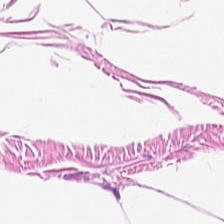Stain: hematoxylin and eosin.
Tissue: adipose.
